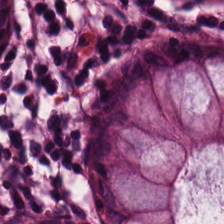Q: What tissue is shown?
A: This is non-neoplastic colon mucosa.
